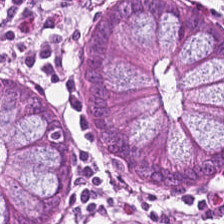Hematoxylin-and-eosin stained section; 224×224 px patch; 0.5 microns per pixel — Q: Classify this patch.
A: This is normal colonic mucosa.
